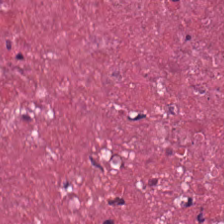H&E.
Predominant tissue: cellular debris.
